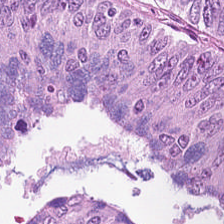H&E-stained section; the field shows colorectal adenocarcinoma epithelium.
